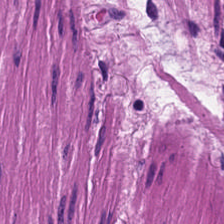H&E-stained section; the field shows smooth muscle.
